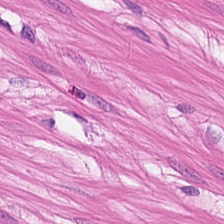Hematoxylin-and-eosin stained section — The tissue here is smooth muscle.
